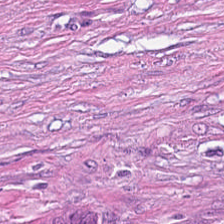H&E. FFPE tissue section.
This field is tumor stroma.
